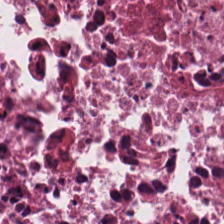Formalin-fixed paraffin-embedded section. Hematoxylin-and-eosin stained section. Brightfield. Predominantly debris.
